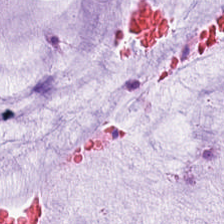Hematoxylin and eosin. Mucin.
